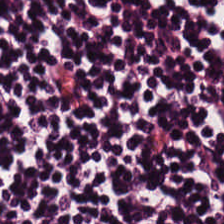Whole-slide-image patch; H&E stain; FFPE tissue section. Showing lymphoid infiltrate.
